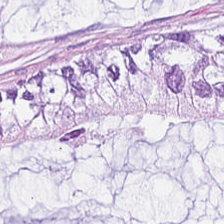Hematoxylin and eosin · brightfield microscopy · 224×224 px patch. This field is mucus.
